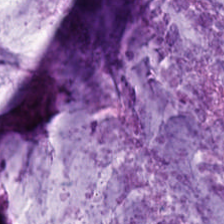H&E stain. 224×224 px tile — Predominantly extracellular mucin.
